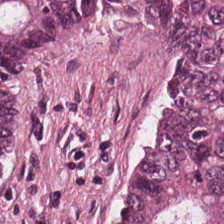H&E-stained tissue section.
{"tissue_type": "malignant epithelium"}
